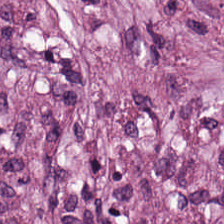Hematoxylin-and-eosin stained section — This patch shows tumor-associated stroma.
